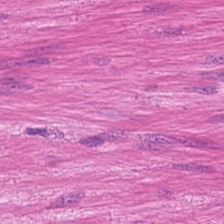Q: What is shown here?
A: The field shows muscularis.
